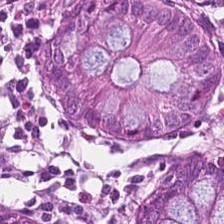H&E stain. Normal colonic mucosa.
